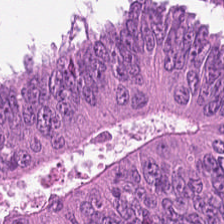224×224 pixel tile · brightfield · H&E.
The predominant tissue is colorectal adenocarcinoma.
